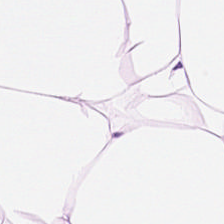224×224 pixel tile · H&E · brightfield microscopy.
The tissue class is adipocytes.
